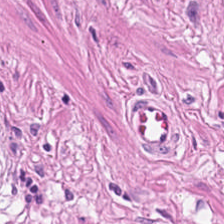This patch shows muscularis.
